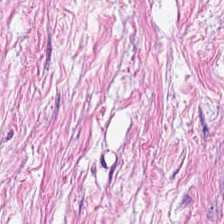H&E-stained tissue section. Tissue — tumor stroma.
